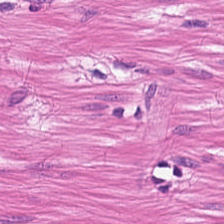Hematoxylin-and-eosin stained section.
{"tissue_type": "muscularis"}
